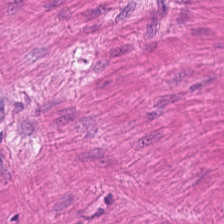Hematoxylin-and-eosin stained section.
Tissue type: smooth-muscle tissue.
